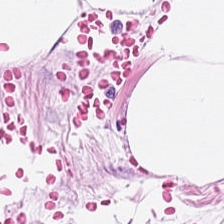Stain: hematoxylin and eosin.
Tissue class: adipose tissue.
